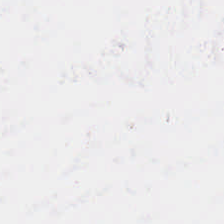Content — background.
